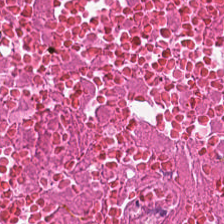Hematoxylin-and-eosin stained section. Finding — cellular debris.
